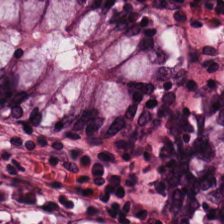Formalin-fixed paraffin-embedded section. Brightfield. H&E. Predominant tissue: non-neoplastic colon mucosa.
